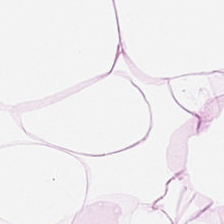Stain: H&E-stained tissue section.
Classification: fat tissue.
